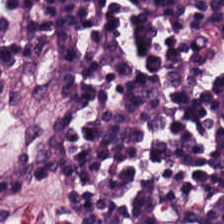H&E. Histology — lymphocyte aggregate.
